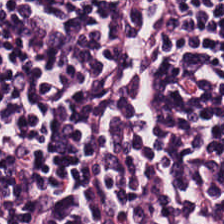Stain: H&E-stained tissue section.
Acquisition: brightfield microscopy.
Tile size: 224×224 px patch.
Tissue class: lymphoid infiltrate.
